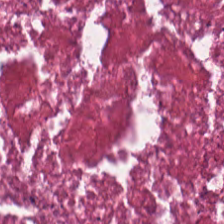Hematoxylin-and-eosin stained section. This field is cellular debris.
